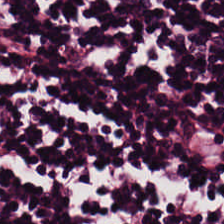Hematoxylin-and-eosin stained section; 224×224 px patch — Impression — lymphocytes.
